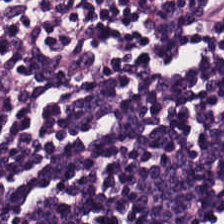Hematoxylin and eosin.
Impression → lymphocytes.
